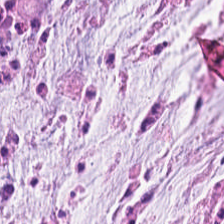Hematoxylin-and-eosin stained section — Histology — extracellular mucin.
